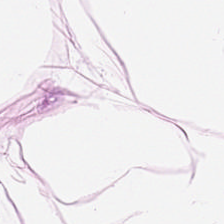Tissue: adipose tissue.
